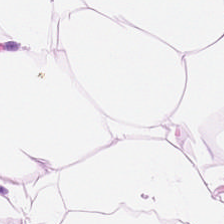Classification = adipocytes.
